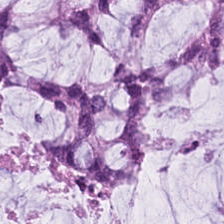224×224 px tile · hematoxylin and eosin · 0.5 microns per pixel.
Q: What type of tissue is this?
A: Mucin.
